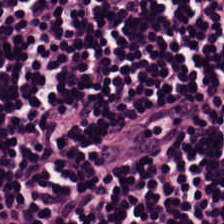H&E stain. 224×224 px tile. Brightfield. Lymphoid infiltrate.
